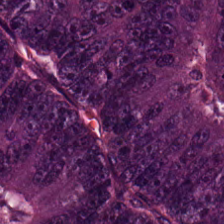H&E-stained tissue section. Q: What is shown here?
A: Colorectal adenocarcinoma epithelium.
